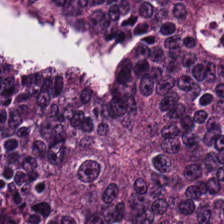Stain: hematoxylin and eosin.
Tissue: adenocarcinoma.
